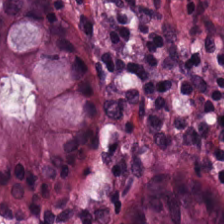Q: What type of tissue is this?
A: Normal colon mucosa.
